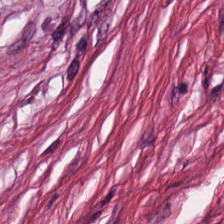H&E · formalin-fixed paraffin-embedded section · brightfield.
The tissue here is tumor-associated stroma.
